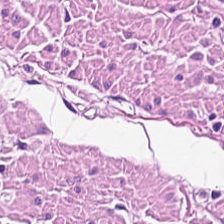Hematoxylin-and-eosin stained section — Classification = smooth-muscle tissue.
